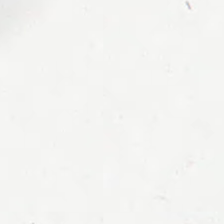H&E-stained tissue section.
{"content": "no tissue"}
